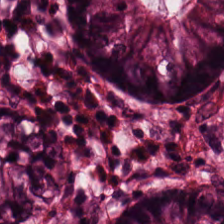The tissue here is non-neoplastic colon mucosa.
